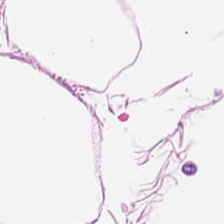FFPE tissue section. H&E.
The tissue type is adipocytes.
